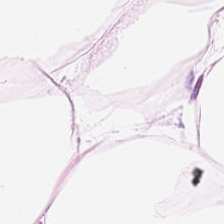The predominant tissue is adipocytes.
